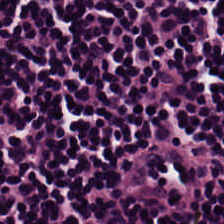224×224 pixel tile. Hematoxylin-and-eosin stained section.
The predominant tissue is lymphocytic infiltrate.
